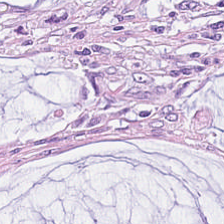Predominant tissue — mucus.
